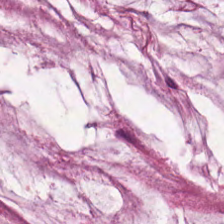Hematoxylin and eosin — This field is mucin.
